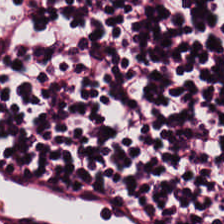224×224 pixel tile · H&E stain · FFPE tissue section.
Predominantly lymphocyte aggregate.
